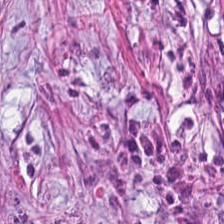Q: What tissue is shown?
A: Desmoplastic stroma.
